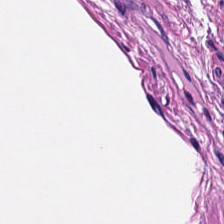H&E — Classification = muscularis.
